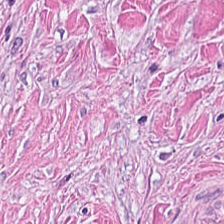Stain: H&E-stained tissue section.
Tissue type: cancer-associated stroma.
